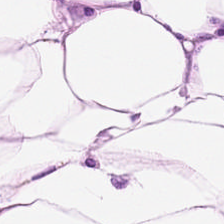Adipose.
